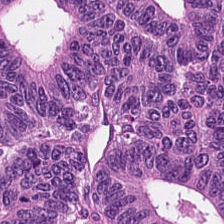H&E-stained tissue section.
Predominantly tumor epithelium.
